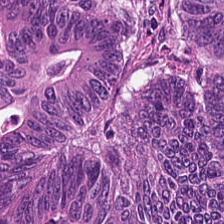Hematoxylin and eosin · 224×224 pixel tile. Showing colorectal adenocarcinoma.
